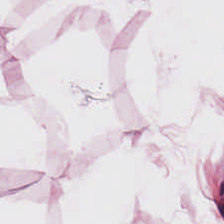H&E-stained tissue section — Q: What does this patch show?
A: Fat tissue.
